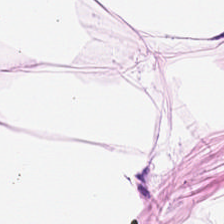H&E; FFPE tissue section. Impression — adipose tissue.
